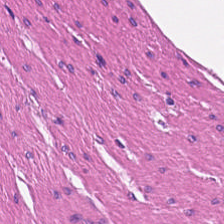Hematoxylin-and-eosin stained section; WSI patch.
Smooth muscle.
